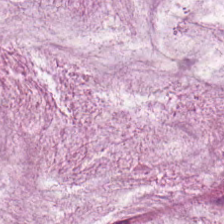0.5 µm per pixel; H&E-stained tissue section.
The predominant tissue is mucus.
